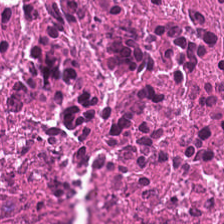0.5 microns per pixel; formalin-fixed paraffin-embedded section; H&E-stained tissue section. This field is debris.
